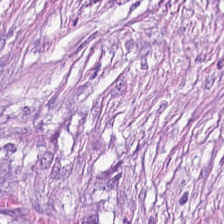H&E.
Tissue — cancer-associated stroma.
